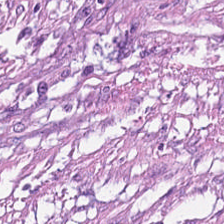H&E stain — Predominant tissue: desmoplastic stroma.
